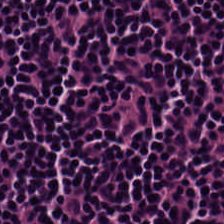Hematoxylin and eosin — Finding → lymphocytes.
